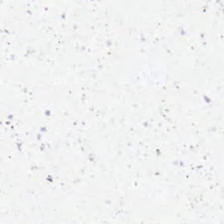0.5 microns per pixel; FFPE; H&E — {"content": "empty background"}
